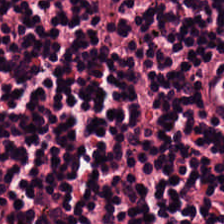H&E — This field is lymphocytic infiltrate.
